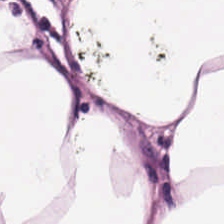H&E stain · formalin-fixed paraffin-embedded section. Q: What is shown here?
A: It is adipose.
